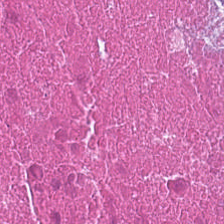Hematoxylin-and-eosin stained section — Predominantly cellular debris.
